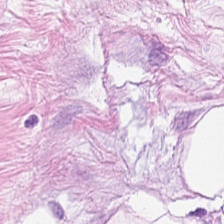Formalin-fixed paraffin-embedded section; hematoxylin and eosin; brightfield microscopy.
The predominant tissue is fat tissue.
